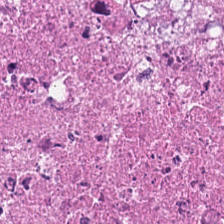Q: What type of tissue is this?
A: Necrotic debris.
